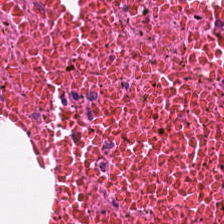Formalin-fixed paraffin-embedded section. H&E. Q: Classify this patch.
A: It is debris.
